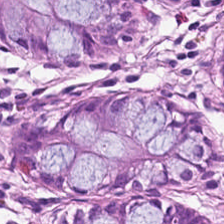Classification: normal colonic mucosa.
